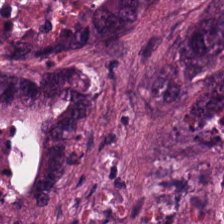Hematoxylin and eosin. Predominantly tumor epithelium.
